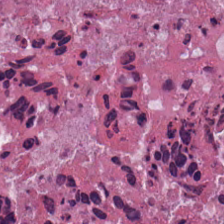Finding — debris.
